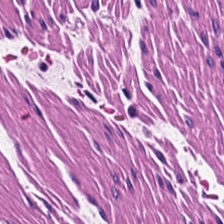Hematoxylin-and-eosin stained section — {"tissue_type": "smooth-muscle tissue"}
